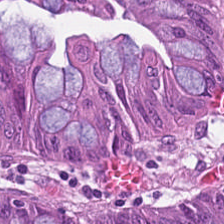Formalin-fixed paraffin-embedded section · hematoxylin-and-eosin stained section.
Q: What tissue type is shown here?
A: It is adenocarcinoma.
